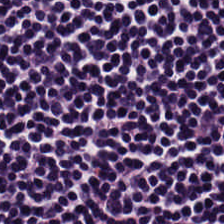Hematoxylin-and-eosin stained section.
This field is lymphoid infiltrate.
